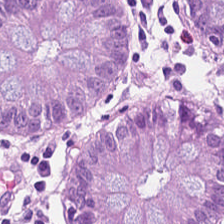224×224 px tile · hematoxylin and eosin — Q: What tissue is shown?
A: The field shows normal colon mucosa.
